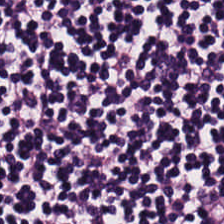Hematoxylin-and-eosin stained section · WSI patch · FFPE.
Tissue class = lymphoid infiltrate.
